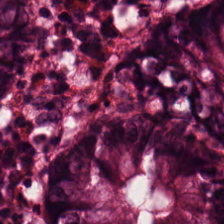{"tissue_type": "normal colonic mucosa"}
